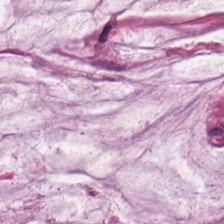Stain: hematoxylin and eosin.
Classification: extracellular mucin.
